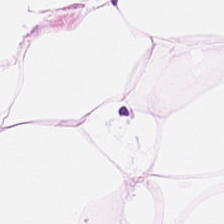H&E stain. This field is adipocytes.
